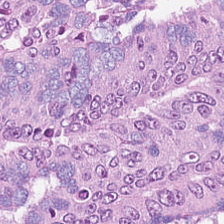{"tissue_type": "tumor epithelium"}
